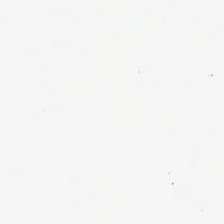The field content is empty background.
